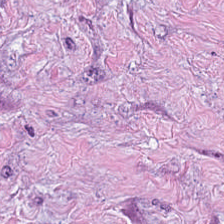Hematoxylin-and-eosin stained section.
Q: What type of tissue is this?
A: The field shows tumor-associated stroma.
